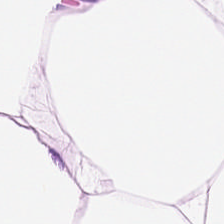The tissue type is fat tissue.
